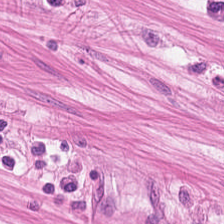Brightfield · H&E stain.
This field is smooth muscle.
